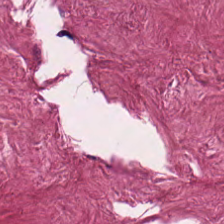Stain: H&E.
Tissue class: tumor-associated stroma.
